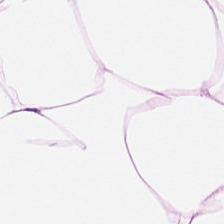Hematoxylin and eosin. Predominant tissue — adipocytes.
